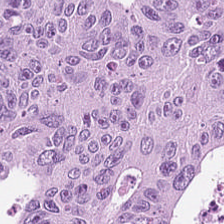H&E stain.
Q: What does this patch show?
A: It is malignant epithelium.
